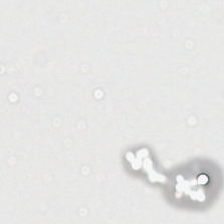Hematoxylin-and-eosin stained section — Background — no tissue in this field.
